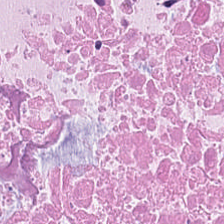WSI patch. Hematoxylin and eosin.
Predominantly cellular debris.
